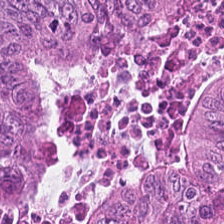Hematoxylin and eosin — Tissue class — tumor epithelium.
